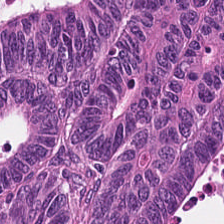H&E-stained tissue section showing colorectal adenocarcinoma epithelium.
